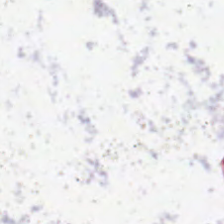Hematoxylin-and-eosin stained section; 20× equivalent magnification.
No tissue present; background only.
